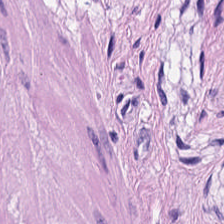224×224 px patch. FFPE tissue section. H&E.
Q: Classify this patch.
A: The field shows smooth muscle.
